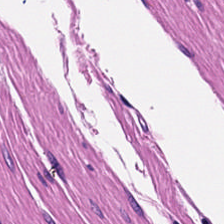Finding — smooth muscle.
